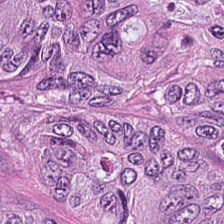H&E · formalin-fixed paraffin-embedded section · WSI patch. Finding — malignant epithelium.
